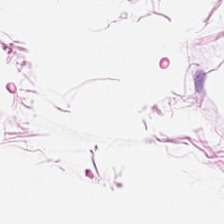Stain: H&E stain.
Preparation: formalin-fixed paraffin-embedded section.
Resolution: 20× equivalent magnification.
Tissue: adipose.
